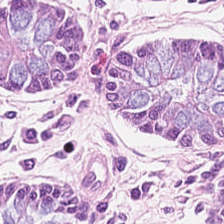H&E stain; WSI patch.
Histology — normal colon mucosa.
